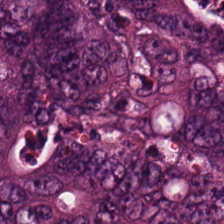Classification: adenocarcinoma.
